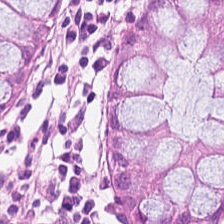H&E-stained tissue section.
Q: What tissue is shown?
A: The field shows normal colon mucosa.
